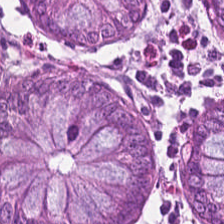Stain: H&E.
Classification: normal colon mucosa.
